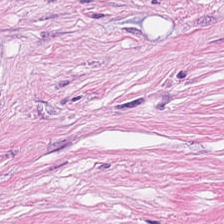Hematoxylin-and-eosin stained section. Showing tumor-associated stroma.
